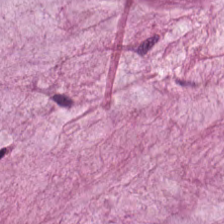Brightfield microscopy · 20× equivalent magnification · hematoxylin and eosin.
Histology — mucin.
